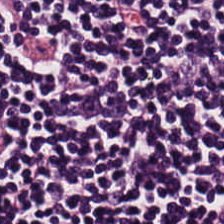Finding → lymphocytic infiltrate.
